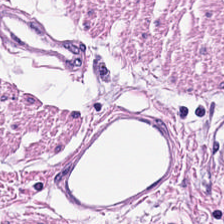Brightfield. 224×224 pixel tile. H&E stain.
The tissue here is muscularis.
